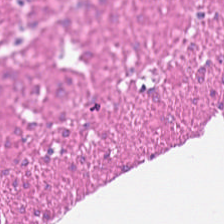H&E stain — Predominant tissue — smooth muscle.
